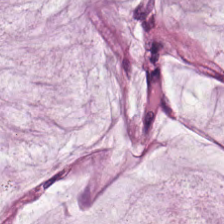Stain: hematoxylin-and-eosin stained section.
Preparation: FFPE.
Tissue type: mucus.
